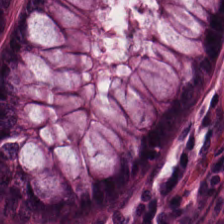Whole-slide-image patch · H&E stain.
Benign colonic mucosa.
